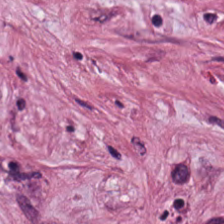H&E. Tissue — tumor-associated stroma.
